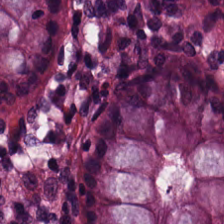H&E-stained tissue section. Q: What is shown here?
A: The field shows non-neoplastic colon mucosa.
